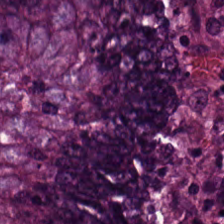Hematoxylin and eosin. The tissue here is malignant epithelium.
